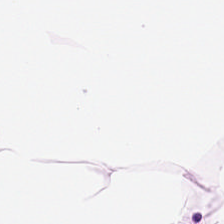H&E. Predominant tissue = adipose tissue.
